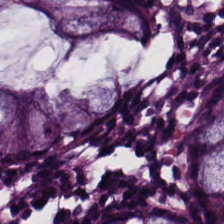Stain: H&E stain.
Preparation: FFPE tissue section.
Tissue class: benign colonic mucosa.
